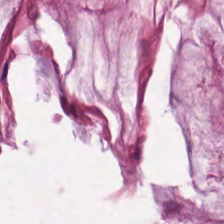H&E.
Histology — mucin.
